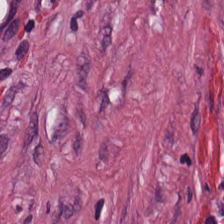Whole-slide-image patch. Hematoxylin and eosin.
The tissue type is desmoplastic stroma.
